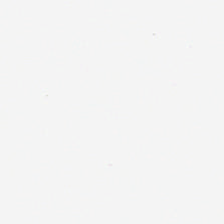H&E stain. FFPE tissue section. 20× equivalent magnification. Q: What does this patch show?
A: Empty background.
